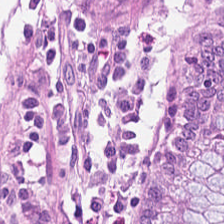H&E-stained tissue section · whole-slide-image patch — {"tissue_type": "normal colonic mucosa"}
